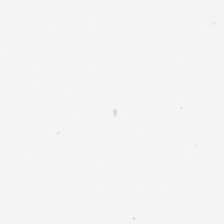224×224 px patch. H&E. Background — no tissue in this field.
